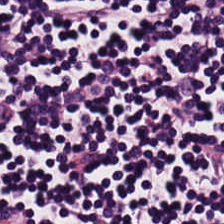The predominant tissue is lymphocytic infiltrate.
